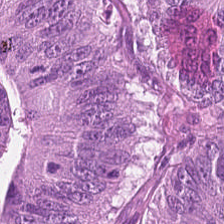Hematoxylin and eosin.
Tissue: tumor epithelium.
